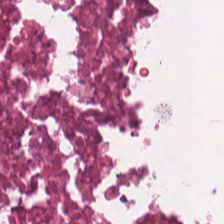224×224 px tile; H&E-stained tissue section — This field is cellular debris.
